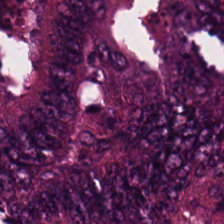Hematoxylin-and-eosin stained section · brightfield.
Q: What tissue is shown?
A: This is colorectal adenocarcinoma epithelium.
